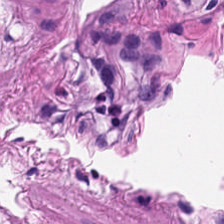Stain: H&E.
Tile size: 224×224 pixel tile.
Tissue class: smooth-muscle tissue.
